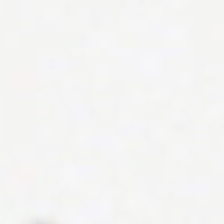No tissue present; background only.
